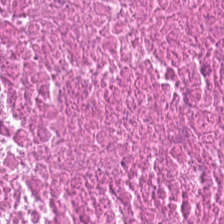224×224 pixel tile; 0.5 µm per pixel; hematoxylin and eosin.
Tissue: necrotic debris.
